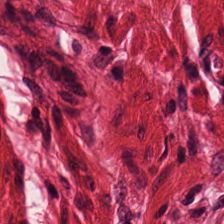H&E-stained tissue section · 20× equivalent magnification — Tissue — muscularis.
